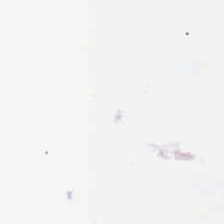FFPE · WSI patch · H&E stain — This field is background (no tissue).
